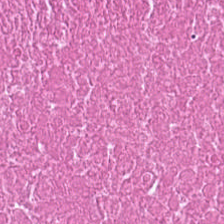Hematoxylin and eosin.
Q: What is shown in this field?
A: Debris.
